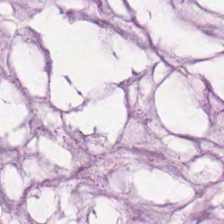Stain: H&E-stained tissue section.
Tissue: mucin.
